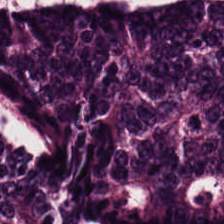Q: What type of tissue is this?
A: Malignant epithelium.
